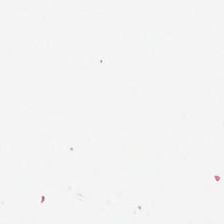Hematoxylin and eosin; 224×224 px tile — Field content = background (no tissue).
